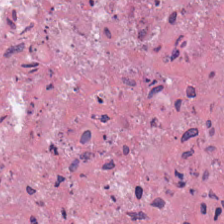Stain: H&E stain.
Resolution: 0.5 µm/px.
Preparation: FFPE tissue section.
Tissue type: debris.
